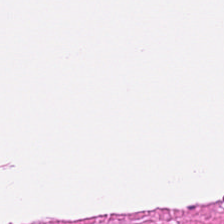Q: What is the predominant tissue type?
A: The field shows muscularis.
